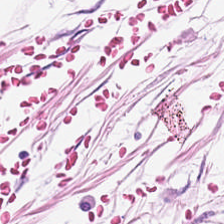H&E-stained tissue section.
Tissue type: adipose tissue.
